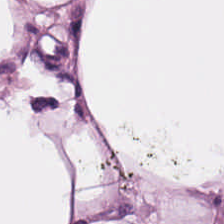H&E stain; formalin-fixed paraffin-embedded section. The predominant tissue is fat tissue.
